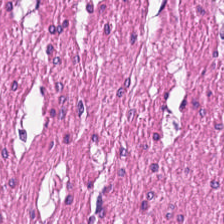The tissue class is muscularis.
